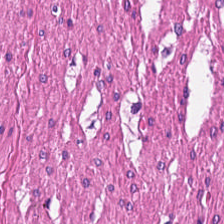Finding — smooth-muscle tissue.
